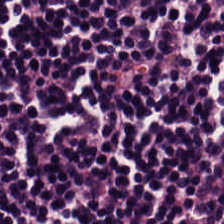Finding — lymphocytes.
